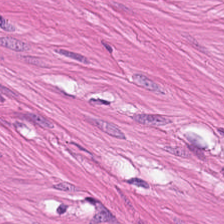H&E patch showing smooth-muscle tissue.
